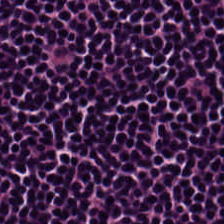H&E — This patch shows lymphocyte aggregate.
